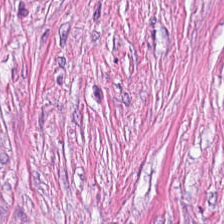H&E-stained tissue section. Q: What type of tissue is this?
A: Tumor stroma.
